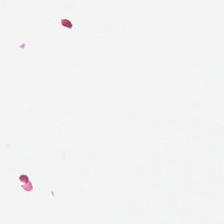Stain: H&E stain.
Classification: background.
